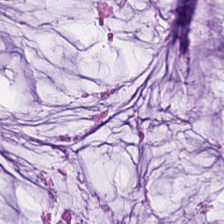Hematoxylin and eosin · brightfield.
Finding → mucus.
